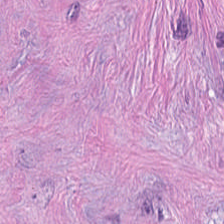Tissue class = desmoplastic stroma.
